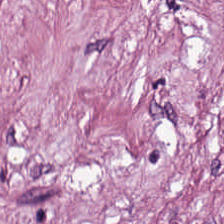Brightfield · 224×224 pixel tile · hematoxylin and eosin — Predominantly tumor-associated stroma.
